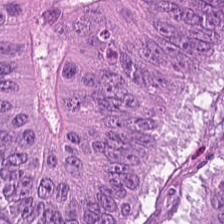H&E. Q: What is shown here?
A: It is colorectal adenocarcinoma epithelium.
